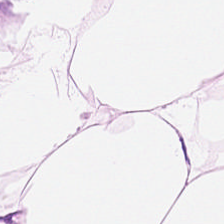Hematoxylin-and-eosin stained section.
Predominantly adipose tissue.
